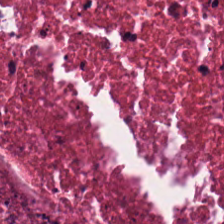FFPE tissue section. Hematoxylin-and-eosin stained section. This patch shows cellular debris.
